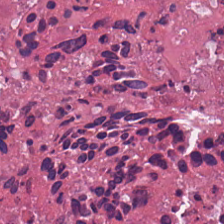H&E; formalin-fixed paraffin-embedded section. Predominant tissue = cellular debris.
